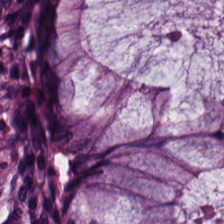Brightfield; H&E stain. The predominant tissue is normal colonic mucosa.
